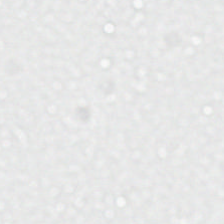Q: What is shown here?
A: This is background (no tissue).
